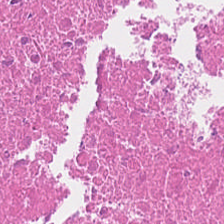Finding → necrotic debris.
